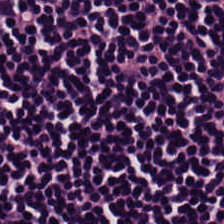Tissue — lymphocyte aggregate.
